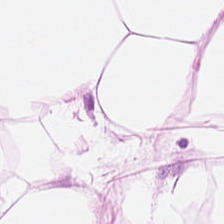H&E — Showing adipose tissue.
